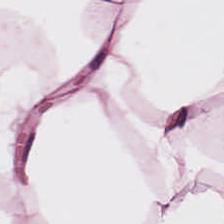WSI patch; hematoxylin and eosin; 0.5 µm per pixel.
This field is adipose tissue.
